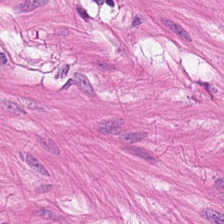0.5 µm per pixel · H&E stain.
{"tissue_type": "muscularis"}
